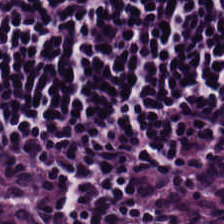H&E stain — Q: What is shown in this field?
A: The field shows lymphocytes.
